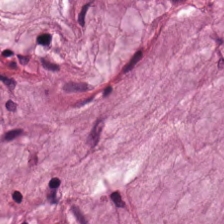Finding — mucus.
